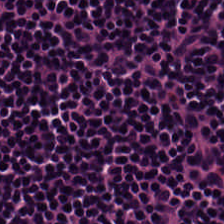Hematoxylin and eosin — Histology — lymphocytes.
